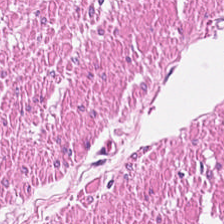Finding — smooth muscle.
